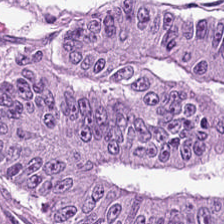Tissue — colorectal adenocarcinoma epithelium.
